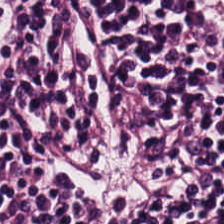H&E-stained tissue section. Predominant tissue = lymphocytic infiltrate.
